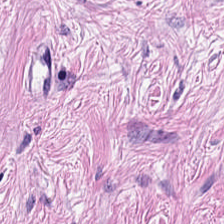224×224 px tile; H&E stain — {"tissue_type": "tumor-associated stroma"}
